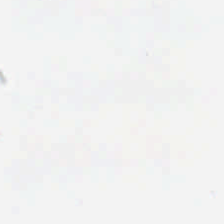WSI patch; H&E stain.
Background (no tissue).
